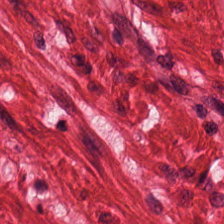H&E stain — Tissue class — smooth muscle.
